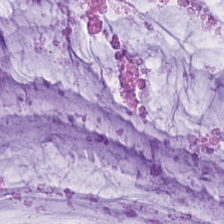20× equivalent magnification; H&E stain; 224×224 pixel tile — Predominantly extracellular mucin.
